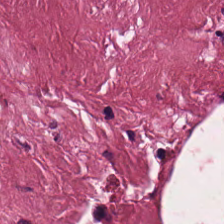20× equivalent magnification. H&E-stained tissue section — The classification is tumor-associated stroma.
